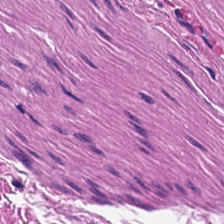224×224 px patch · H&E stain · 0.5 µm per pixel — Histology → smooth-muscle tissue.
